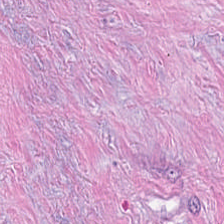20× equivalent magnification; H&E stain — The tissue class is tumor stroma.
